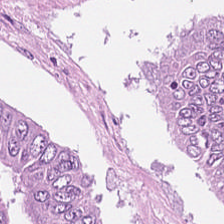Whole-slide-image patch · H&E stain.
The predominant tissue is colorectal adenocarcinoma.
